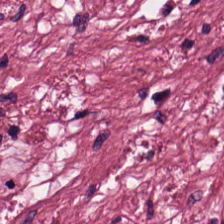Predominant tissue = tumor-associated stroma.
